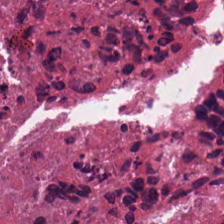Hematoxylin and eosin · brightfield · 224×224 px patch.
Q: What type of tissue is this?
A: It is debris.
